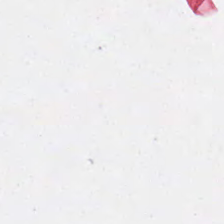224×224 px tile · brightfield microscopy · hematoxylin-and-eosin stained section — {"content": "background (no tissue)"}
